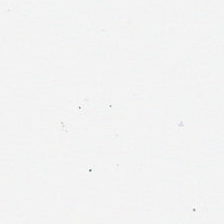H&E-stained tissue section — Content — background.
